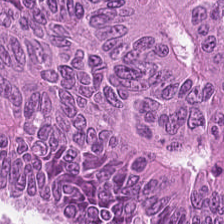H&E stain. This field is tumor epithelium.
